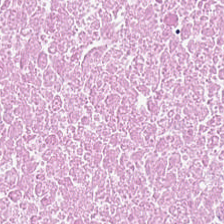Hematoxylin-and-eosin stained section.
Showing necrotic debris.
